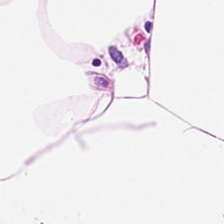WSI patch; H&E-stained tissue section. Impression → adipocytes.
